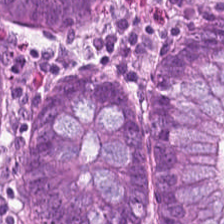Hematoxylin-and-eosin stained section — Tissue = normal colonic mucosa.
